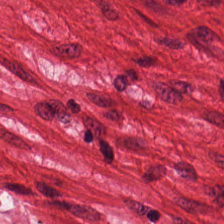Stain: H&E-stained tissue section.
Tissue class: smooth muscle.
